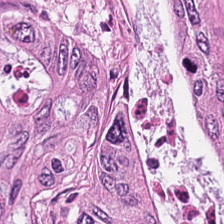H&E.
Showing colorectal adenocarcinoma.
